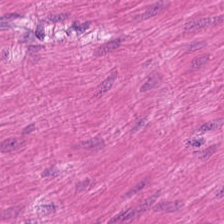H&E-stained tissue section. FFPE tissue section — Tissue type — smooth-muscle tissue.
